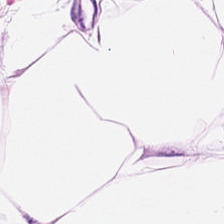Stain: H&E-stained tissue section.
Acquisition: whole-slide-image patch.
Resolution: 0.5 µm per pixel.
Classification: adipocytes.
